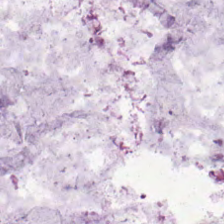H&E. Predominantly mucin.
